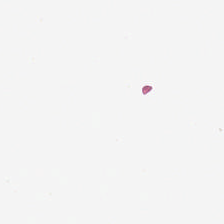Hematoxylin-and-eosin stained section; 224×224 px tile — Field content — background (no tissue).
